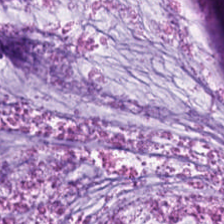H&E-stained tissue section — The predominant tissue is extracellular mucin.
